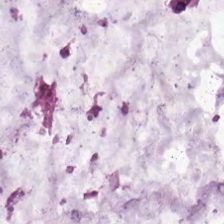H&E-stained tissue section.
Classification: mucin.
